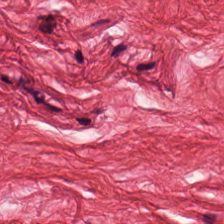H&E-stained tissue section. Tissue — smooth-muscle tissue.
